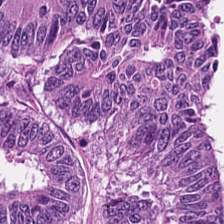Hematoxylin and eosin; 224×224 px tile — This field is adenocarcinoma.
